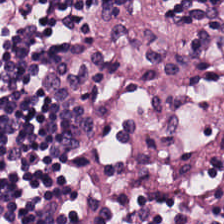H&E stain · WSI patch.
Finding — lymphoid infiltrate.
